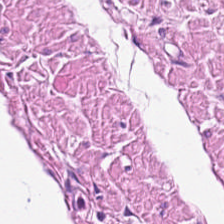Q: What is shown here?
A: The field shows muscularis.
